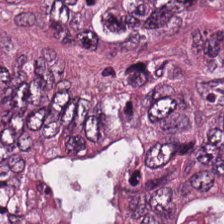Whole-slide-image patch · H&E stain · FFPE tissue section.
Classification: malignant epithelium.
